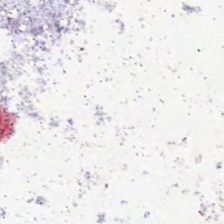Hematoxylin-and-eosin stained section.
This patch shows background.
